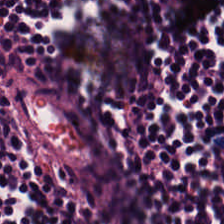H&E — Classification — lymphoid infiltrate.
